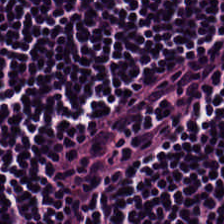H&E stain; brightfield — Predominant tissue: lymphocytes.
